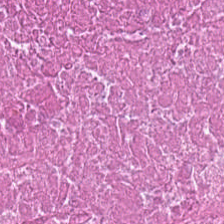H&E stain. 224×224 px patch.
Showing debris.
